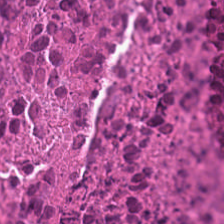Hematoxylin and eosin — Histology — necrotic debris.
